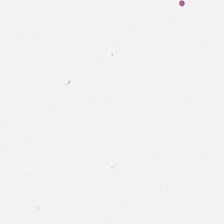H&E-stained tissue section.
No tissue.
